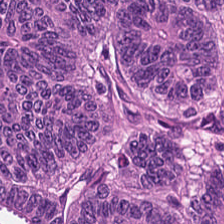Brightfield microscopy · 0.5 µm/px · hematoxylin-and-eosin stained section — This patch shows tumor epithelium.
